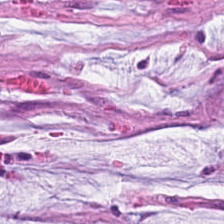The classification is extracellular mucin.
